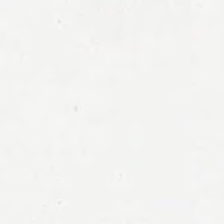Hematoxylin-and-eosin stained section.
No tissue present; background only.
